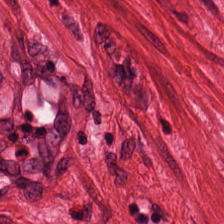Hematoxylin-and-eosin section: smooth muscle.
